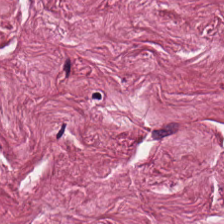H&E-stained tissue section.
Q: What does this patch show?
A: It is cancer-associated stroma.
